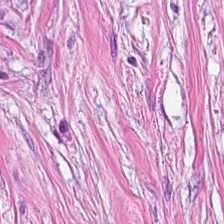H&E-stained tissue section; whole-slide-image patch; 0.5 µm per pixel — Tissue: desmoplastic stroma.
